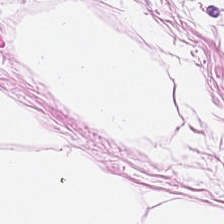FFPE · H&E.
Q: Identify the tissue.
A: Adipose tissue.
